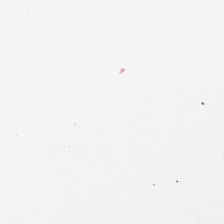H&E stain.
Q: Classify this patch.
A: Empty background.
